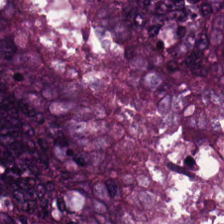Stain: H&E stain.
Predominant tissue: malignant epithelium.
